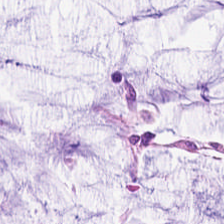Stain: H&E.
Tissue type: extracellular mucin.
